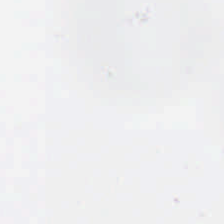Empty field — background.
